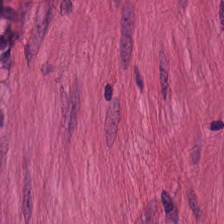H&E · 224×224 pixel tile. Smooth-muscle tissue.
